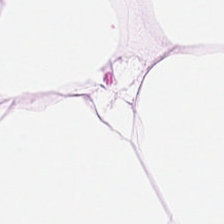H&E — Impression — fat tissue.
